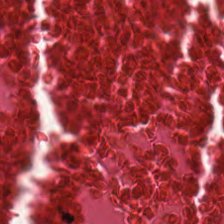Hematoxylin-and-eosin stained section — The tissue is debris.
